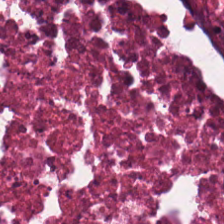Hematoxylin-and-eosin stained section. Impression → necrotic debris.
